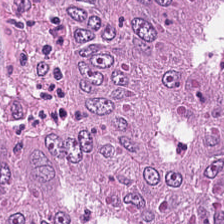Whole-slide-image patch. Hematoxylin and eosin. 224×224 pixel tile. The tissue here is adenocarcinoma.
